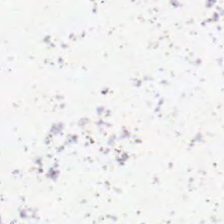Stain: hematoxylin and eosin.
Content: empty background.
